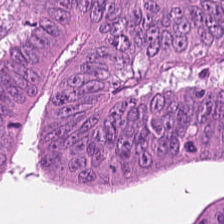H&E. Finding — adenocarcinoma.
